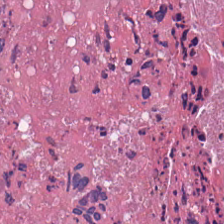H&E · brightfield. This patch shows necrotic debris.
